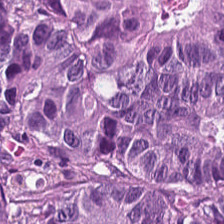Stain: H&E stain.
Tissue class: colorectal adenocarcinoma.
